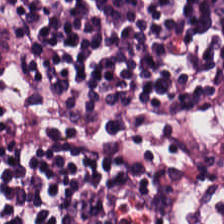0.5 µm/px; H&E-stained tissue section; 224×224 pixel tile.
Classification: lymphocytic infiltrate.
